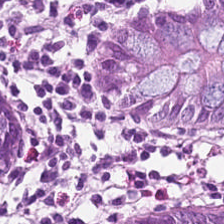H&E-stained tissue section. FFPE — Q: Classify this patch.
A: This is normal colon mucosa.
